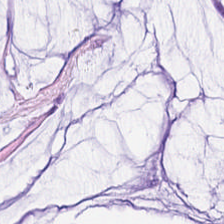Brightfield; hematoxylin and eosin; 0.5 µm per pixel. Impression → extracellular mucin.
